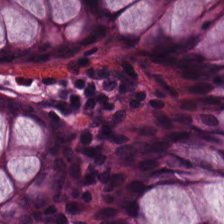H&E-stained tissue section.
This patch shows non-neoplastic colon mucosa.
